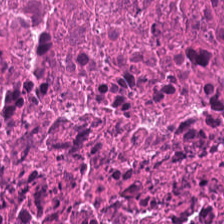Hematoxylin-and-eosin stained section — Showing necrotic debris.
